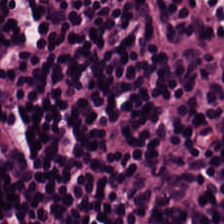20× equivalent magnification · H&E · FFPE.
The tissue here is lymphocytic infiltrate.
